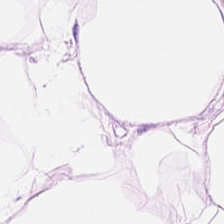20× equivalent magnification; H&E; 224×224 px tile. Tissue type = fat tissue.
